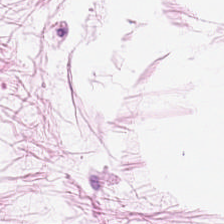The tissue type is fat tissue.
